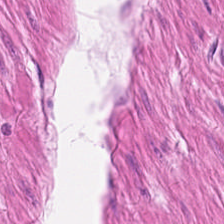Hematoxylin and eosin. 224×224 pixel tile. Finding → muscularis.
